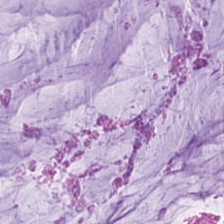WSI patch; hematoxylin-and-eosin stained section — Tissue class: mucus.
